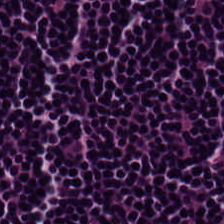H&E stain. Lymphocytes.
